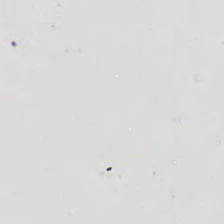Hematoxylin-and-eosin stained section. Histology — no tissue.
